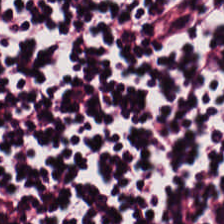The tissue class is lymphocyte aggregate.
